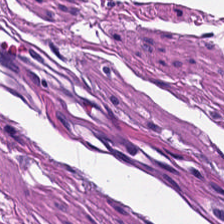H&E. {"tissue_type": "smooth muscle"}
